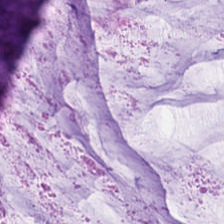0.5 µm/px · formalin-fixed paraffin-embedded section · H&E.
Showing extracellular mucin.
